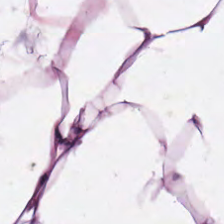Formalin-fixed paraffin-embedded section. H&E.
The predominant tissue is adipose.
